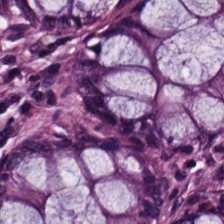0.5 microns per pixel · hematoxylin and eosin. Q: What tissue type is shown here?
A: Normal colon mucosa.
